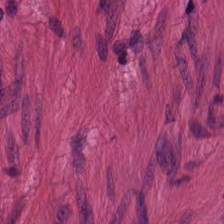Hematoxylin and eosin. Formalin-fixed paraffin-embedded section — Q: What is the predominant tissue type?
A: Smooth muscle.
